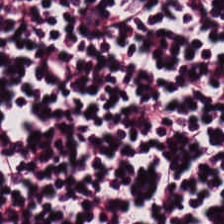Stain: H&E stain.
Preparation: FFPE.
Tissue: lymphocytes.
